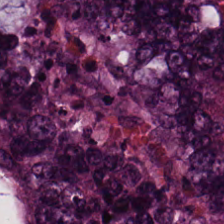224×224 px tile · H&E stain.
Tissue class = colorectal adenocarcinoma epithelium.
